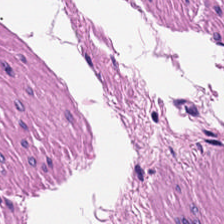Hematoxylin and eosin. Tissue — smooth-muscle tissue.
